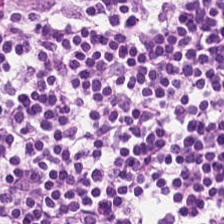Hematoxylin-and-eosin stained section. Brightfield microscopy. FFPE.
The predominant tissue is lymphocytic infiltrate.
